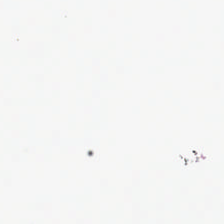0.5 µm/px. Hematoxylin-and-eosin stained section. Classification: background.
